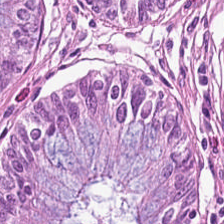H&E-stained tissue section — The tissue here is non-neoplastic colon mucosa.
